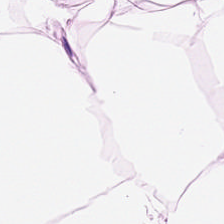Impression — adipose tissue.
